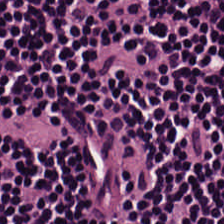WSI patch; 0.5 µm/px; H&E. This field is lymphocytes.
